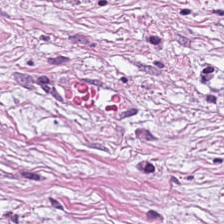Tissue class — tumor-associated stroma.
